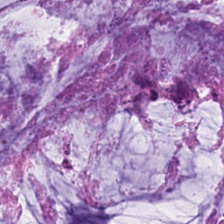The tissue class is mucin.
